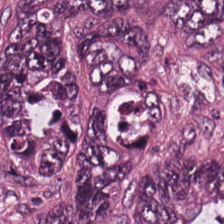H&E-stained tissue section — Q: Identify the tissue.
A: The field shows tumor epithelium.
